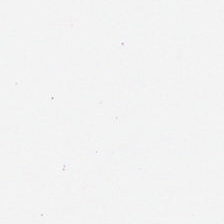H&E-stained tissue section — The content is background (no tissue).
